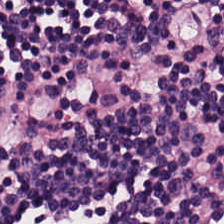Hematoxylin-and-eosin stained section. Finding → lymphocytes.
